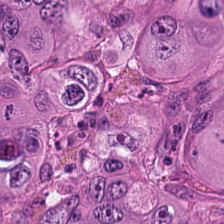Hematoxylin and eosin — Tissue: malignant epithelium.
